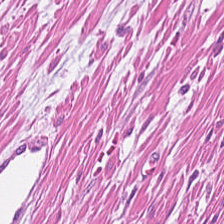Hematoxylin and eosin · 0.5 µm per pixel. Tissue type = muscularis.
